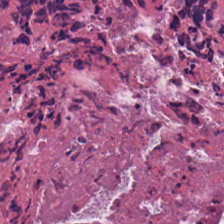H&E-stained section; the field shows cellular debris.
